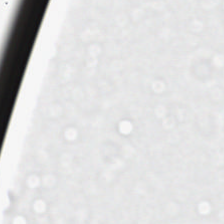This patch shows background (no tissue).
